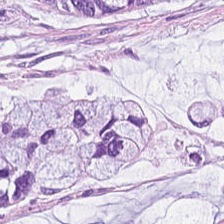H&E patch showing extracellular mucin.
